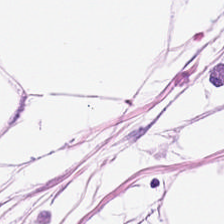0.5 µm/px. Brightfield. Hematoxylin-and-eosin stained section — The classification is adipose tissue.
